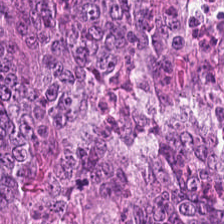Stain: hematoxylin and eosin.
Predominant tissue: colorectal adenocarcinoma.
